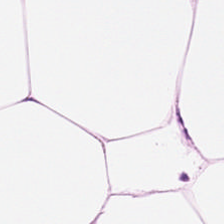Tissue = adipose.
